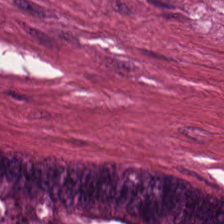H&E — This field is adenocarcinoma.
